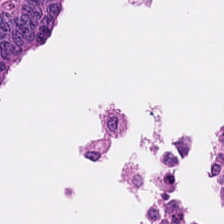H&E; 0.5 µm/px.
Tissue class: malignant epithelium.
